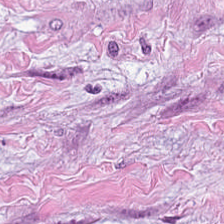H&E-stained tissue section. 224×224 px tile — Predominant tissue — desmoplastic stroma.
